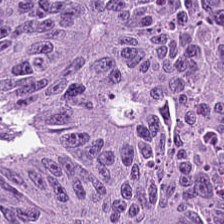20× equivalent magnification; H&E-stained tissue section; WSI patch — Q: What tissue type is shown here?
A: The field shows colorectal adenocarcinoma epithelium.
